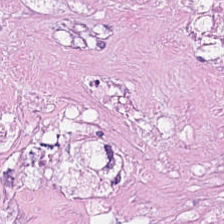H&E-stained tissue section showing necrotic debris.
